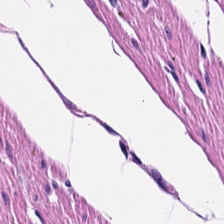This patch shows smooth-muscle tissue.
